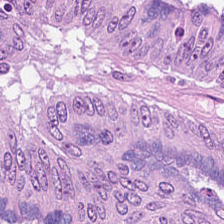Hematoxylin-and-eosin stained section. Showing malignant epithelium.
